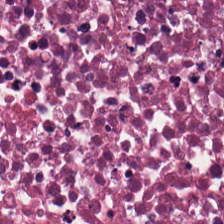H&E-stained tissue section.
The tissue is cellular debris.
